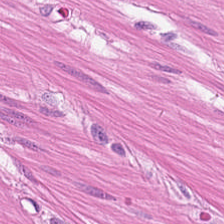{"tissue_type": "smooth muscle"}
